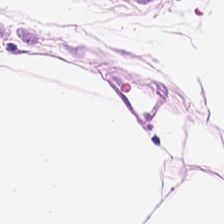Stain: H&E.
Preparation: FFPE.
Tile size: 224×224 px patch.
Tissue class: fat tissue.
